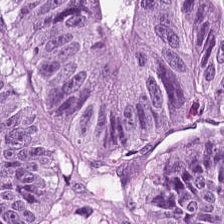H&E-stained tissue section · FFPE · brightfield. Malignant epithelium.
